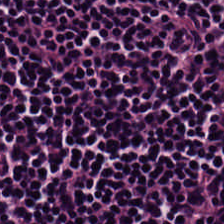H&E-stained tissue section. Whole-slide-image patch.
Finding → lymphoid infiltrate.
